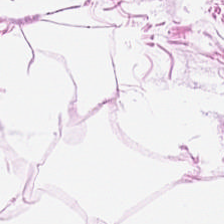224×224 pixel tile · H&E — Showing adipocytes.
